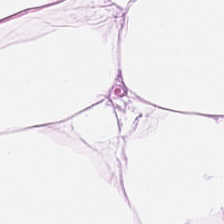Whole-slide-image patch. H&E stain. Showing adipose tissue.
